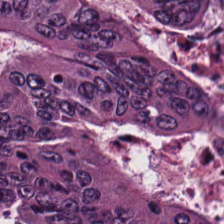Finding → tumor epithelium.
